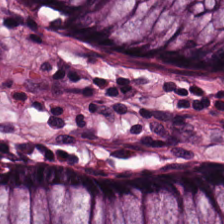Hematoxylin and eosin.
Q: What tissue is shown?
A: This is normal colonic mucosa.
